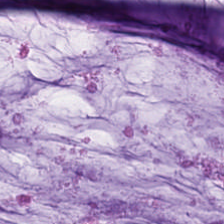H&E-stained tissue section. 0.5 µm per pixel. This patch shows mucin.
